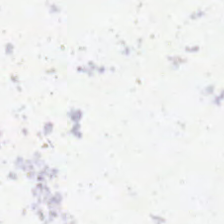Stain: H&E.
Preparation: formalin-fixed paraffin-embedded section.
Field content: empty background.
